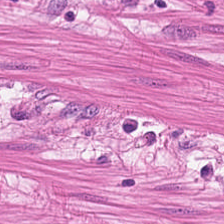Stain: hematoxylin and eosin.
Classification: smooth-muscle tissue.
